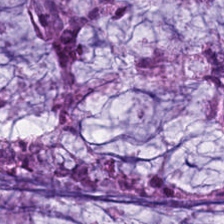Stain: hematoxylin and eosin.
Predominant tissue: mucus.
